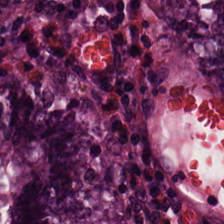Hematoxylin and eosin. Tissue: normal colonic mucosa.
